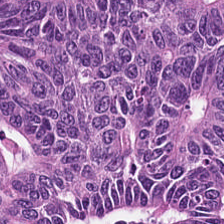Stain: hematoxylin-and-eosin stained section.
Tissue type: malignant epithelium.
